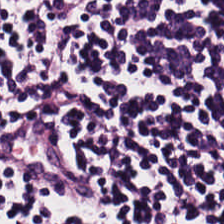Stain: H&E.
Tissue type: lymphocytic infiltrate.
